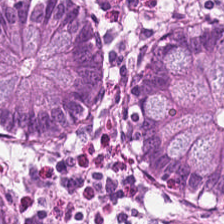Hematoxylin-and-eosin stained section · 224×224 pixel tile. This field is benign colonic mucosa.
